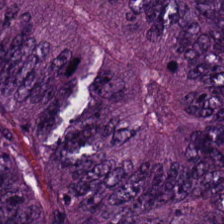Tissue: malignant epithelium.
